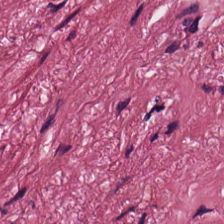H&E-stained tissue section; FFPE tissue section. Showing desmoplastic stroma.
